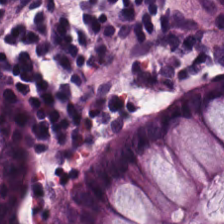Formalin-fixed paraffin-embedded section. H&E-stained tissue section — Tissue type: normal colonic mucosa.
